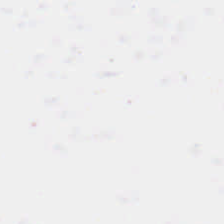Hematoxylin-and-eosin stained section · 224×224 pixel tile.
This field is background (no tissue).
